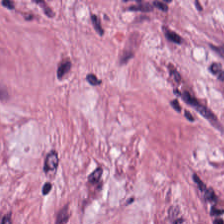H&E stain. Tissue class = desmoplastic stroma.
